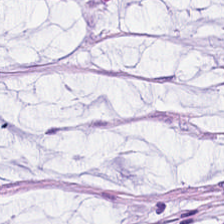H&E. Predominant tissue: mucus.
